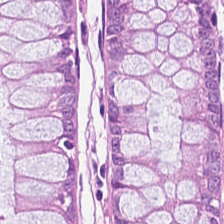Q: What tissue type is shown here?
A: Normal colon mucosa.
